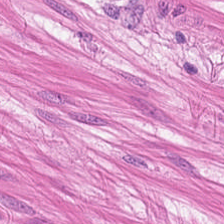20× equivalent magnification. H&E-stained tissue section — This field is smooth muscle.
